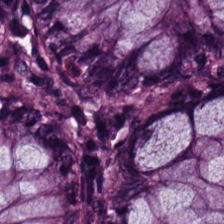Stain: H&E-stained tissue section.
Tile size: 224×224 pixel tile.
Acquisition: brightfield microscopy.
Predominant tissue: benign colonic mucosa.
